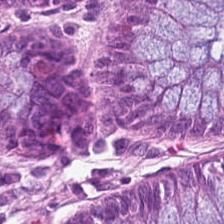H&E stain. Predominant tissue: normal colon mucosa.
